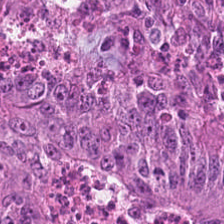H&E.
Q: Identify the tissue.
A: Malignant epithelium.
